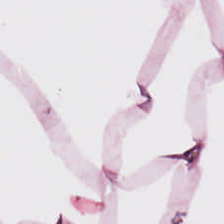Hematoxylin-and-eosin stained section. Whole-slide-image patch — Predominant tissue = adipose.
